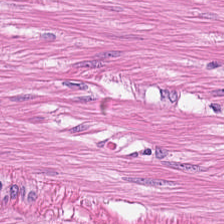H&E. 224×224 px patch.
Showing muscularis.
